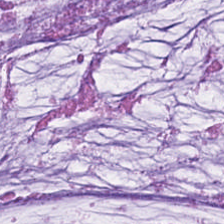H&E-stained tissue section — This field is mucin.
